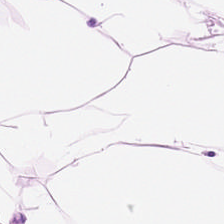Q: Identify the tissue.
A: It is fat tissue.
